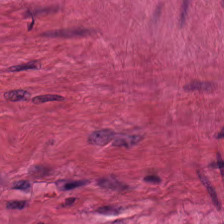Stain: hematoxylin-and-eosin stained section.
Tissue class: muscularis.
